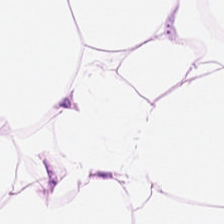WSI patch; hematoxylin and eosin. {"tissue_type": "adipose"}
